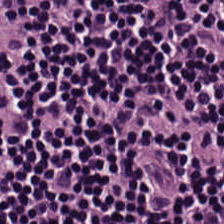Hematoxylin-and-eosin stained section. Q: What does this patch show?
A: The field shows lymphoid infiltrate.
